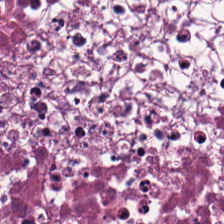Histology — debris.
